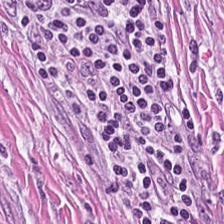Hematoxylin-and-eosin stained section; 0.5 µm/px — The tissue is cancer-associated stroma.
